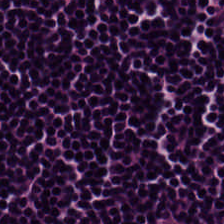0.5 microns per pixel. H&E-stained tissue section.
This field is lymphocytes.
